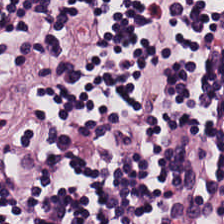Hematoxylin-and-eosin stained section; brightfield microscopy.
This patch shows lymphocytic infiltrate.
